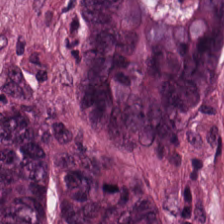Hematoxylin-and-eosin stained section. The tissue here is malignant epithelium.
